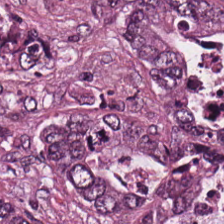H&E-stained tissue section.
Colorectal adenocarcinoma.
